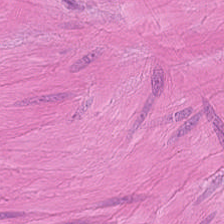224×224 pixel tile; H&E. The classification is smooth-muscle tissue.
